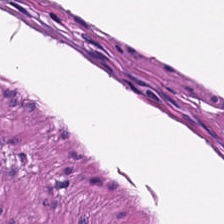FFPE. Hematoxylin and eosin.
Finding — smooth muscle.
